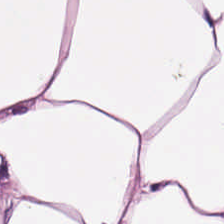H&E-stained tissue section. This patch shows adipose tissue.
